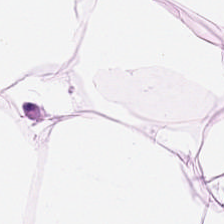Tissue type = adipose tissue.
